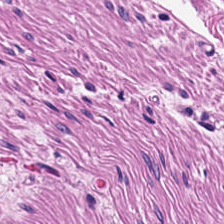H&E stain. FFPE — Q: What is shown here?
A: Smooth-muscle tissue.
